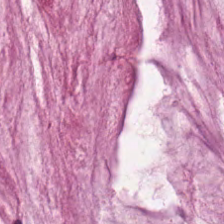0.5 microns per pixel; hematoxylin and eosin — The tissue here is mucin.
